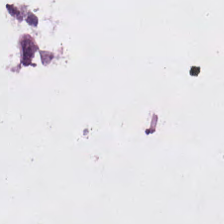H&E-stained tissue section — No tissue present; background only.
